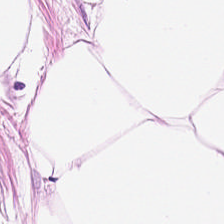H&E; 20× equivalent magnification.
Predominant tissue — adipose tissue.
